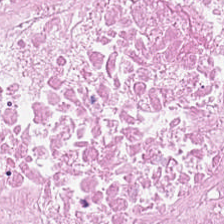0.5 µm per pixel · 224×224 px tile · H&E-stained tissue section. {"tissue_type": "necrotic debris"}
